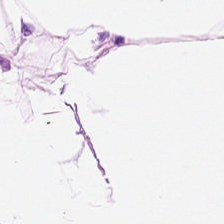0.5 µm per pixel · 224×224 pixel tile · H&E-stained tissue section.
Histology → fat tissue.
